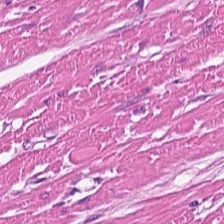Q: What is shown in this field?
A: It is smooth muscle.
